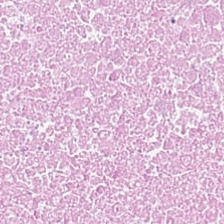Formalin-fixed paraffin-embedded section; hematoxylin-and-eosin stained section; WSI patch.
Q: What does this patch show?
A: The field shows necrotic debris.
